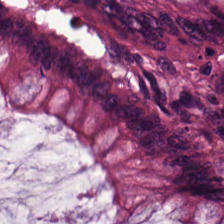H&E stain; 224×224 px patch; 0.5 µm per pixel.
{"tissue_type": "normal colon mucosa"}
